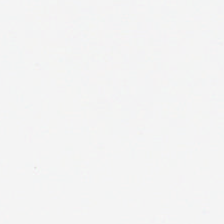Brightfield microscopy. H&E. Q: What is shown in this field?
A: Background.
